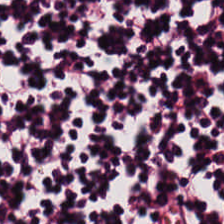224×224 px patch · hematoxylin-and-eosin stained section — Tissue class — lymphocytes.
